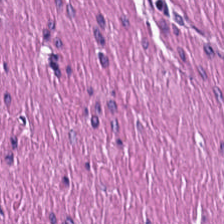224×224 px tile · brightfield · H&E.
Showing smooth muscle.
